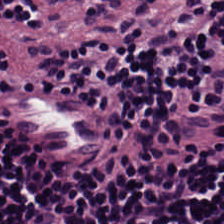The tissue class is lymphoid infiltrate.
